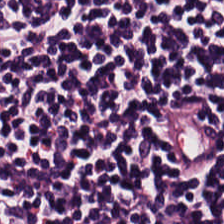Hematoxylin-and-eosin stained section. 0.5 microns per pixel. Tissue type: lymphocytic infiltrate.
